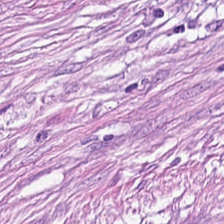Stain: H&E stain.
Tissue type: tumor stroma.
